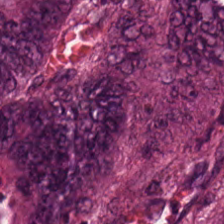0.5 microns per pixel. Hematoxylin-and-eosin stained section — Predominantly mucin.
